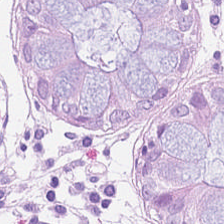Finding → normal colon mucosa.
